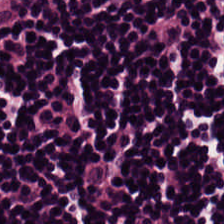H&E stain.
Tissue class: lymphoid infiltrate.
